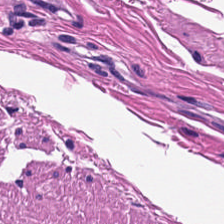The predominant tissue is muscularis.
